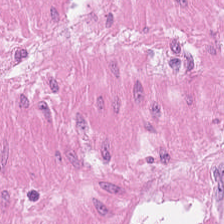H&E-stained tissue section.
Tissue — smooth muscle.
